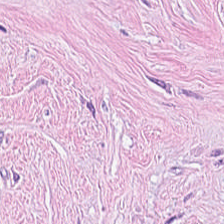H&E. Q: What is shown here?
A: Tumor stroma.
